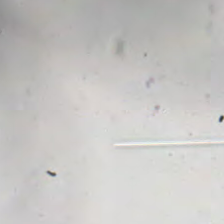No tissue.
